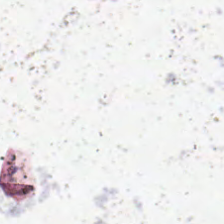Hematoxylin-and-eosin stained section. Empty field — background (no tissue).
